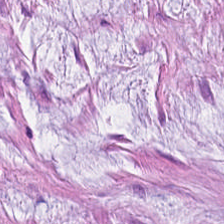H&E stain — The predominant tissue is extracellular mucin.
